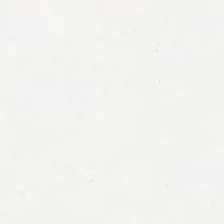Stain: H&E-stained tissue section.
Preparation: FFPE tissue section.
Content: no tissue.
